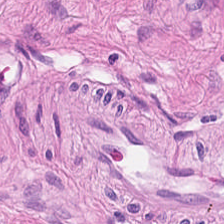H&E stain · formalin-fixed paraffin-embedded section — Q: What tissue type is shown here?
A: Muscularis.
